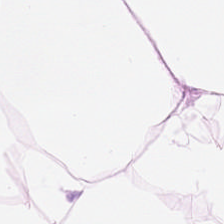Fat tissue.
